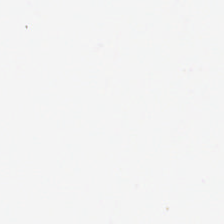Whole-slide-image patch; H&E-stained tissue section.
{"content": "empty background"}
